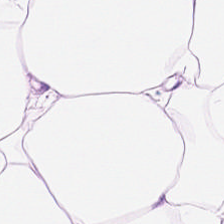Stain: H&E.
Classification: adipocytes.
